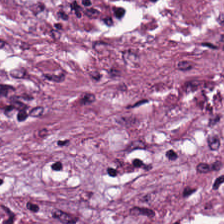FFPE tissue section; H&E. Finding — tumor-associated stroma.
